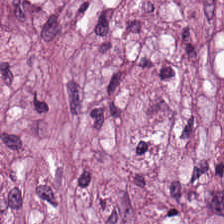H&E — This field is tumor-associated stroma.
